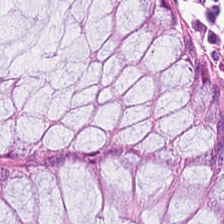Brightfield. H&E-stained tissue section — The tissue is normal colon mucosa.
